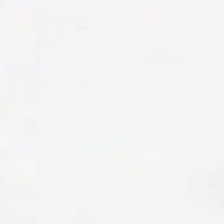Hematoxylin and eosin. Brightfield microscopy.
Histology → no tissue.
